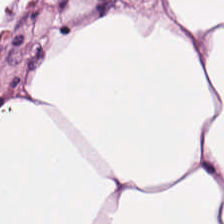Stain: hematoxylin and eosin.
Predominant tissue: adipocytes.
